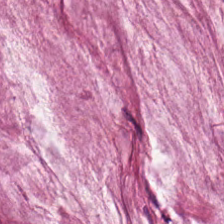Hematoxylin and eosin. Impression → extracellular mucin.
